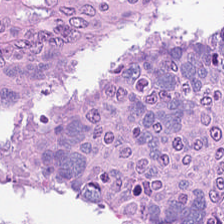H&E. 20× equivalent magnification. Q: What type of tissue is this?
A: Tumor epithelium.
